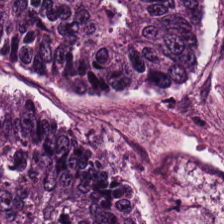The classification is malignant epithelium.
